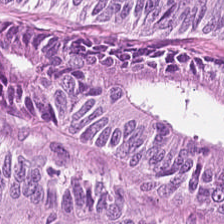Classification — adenocarcinoma.
